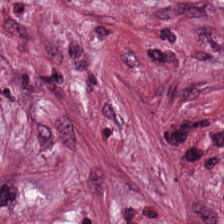Hematoxylin-and-eosin stained section. Finding → desmoplastic stroma.
